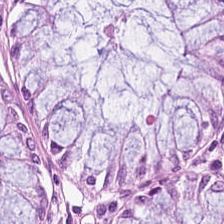H&E-stained tissue section.
Q: Classify this patch.
A: This is non-neoplastic colon mucosa.
